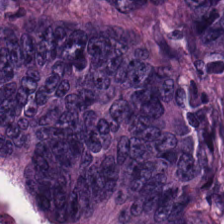Stain: H&E-stained tissue section.
Tissue type: tumor epithelium.
